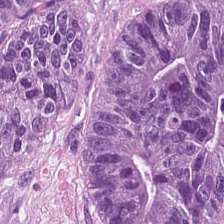FFPE tissue section; H&E stain — Tissue class = colorectal adenocarcinoma epithelium.
